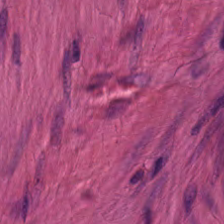Formalin-fixed paraffin-embedded section; 224×224 px tile; H&E stain — This patch shows smooth muscle.
